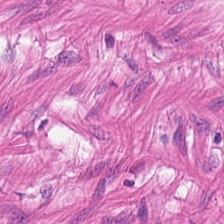Formalin-fixed paraffin-embedded section; H&E stain — Tissue — muscularis.
